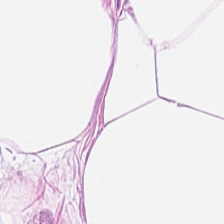Hematoxylin and eosin; FFPE tissue section — Impression → adipose tissue.
